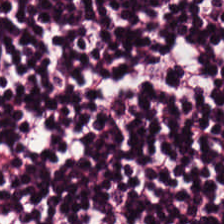H&E stain.
Tissue class — lymphocytic infiltrate.
